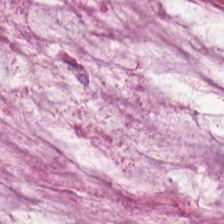H&E stain. 20× equivalent magnification. Formalin-fixed paraffin-embedded section.
Predominant tissue = mucus.
